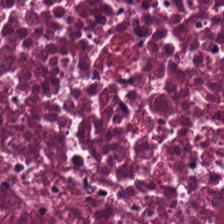Brightfield · FFPE · hematoxylin and eosin.
Debris.
